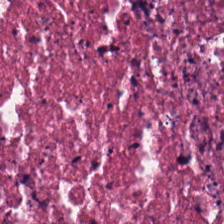Tissue class — cellular debris.
